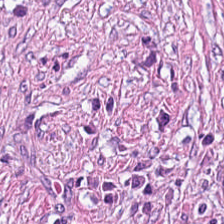Tissue = cancer-associated stroma.
